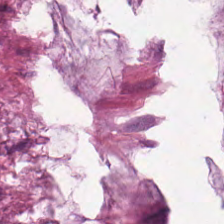H&E-stained tissue section.
Predominantly mucin.
